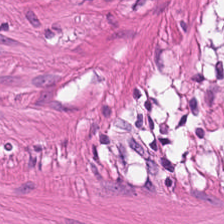20× equivalent magnification · H&E — Q: What is shown in this field?
A: The field shows smooth muscle.
